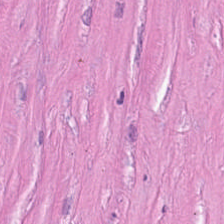H&E stain — The predominant tissue is desmoplastic stroma.
